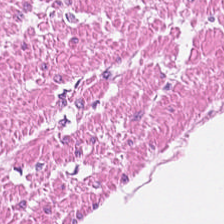H&E-stained tissue section — The predominant tissue is muscularis.
